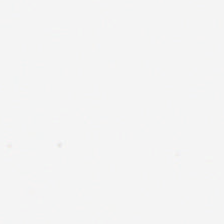WSI patch · H&E — Q: What does this patch show?
A: This is no tissue.
